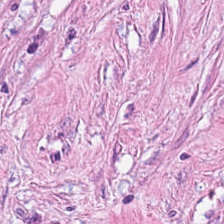H&E stain. Desmoplastic stroma.
